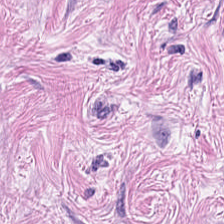H&E stain.
Q: What is shown here?
A: Desmoplastic stroma.
